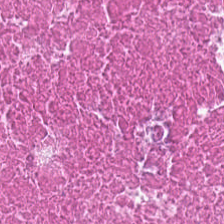Debris.
